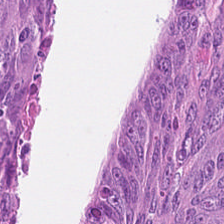Impression — colorectal adenocarcinoma.
